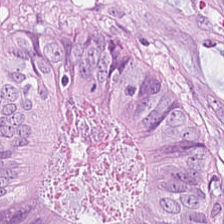Formalin-fixed paraffin-embedded section; hematoxylin and eosin.
Q: What tissue type is shown here?
A: It is malignant epithelium.
